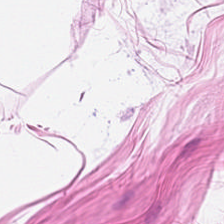224×224 px tile · H&E-stained tissue section · formalin-fixed paraffin-embedded section. Q: What tissue is shown?
A: This is adipose tissue.
